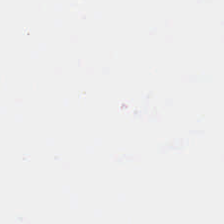H&E-stained tissue section. WSI patch. 224×224 px patch — This patch shows no tissue.
